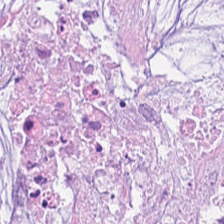Stain: hematoxylin and eosin.
Tile size: 224×224 pixel tile.
Resolution: 0.5 µm per pixel.
Tissue class: extracellular mucin.
